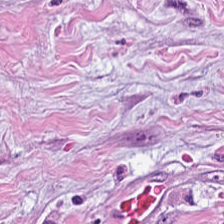Hematoxylin and eosin — The tissue here is desmoplastic stroma.
